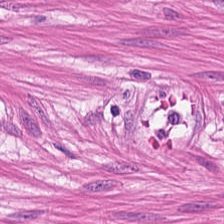H&E-stained tissue section · formalin-fixed paraffin-embedded section · brightfield — The predominant tissue is smooth muscle.
